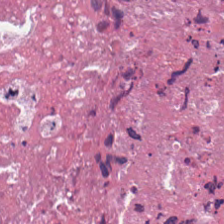Hematoxylin-and-eosin stained section.
This field is necrotic debris.
